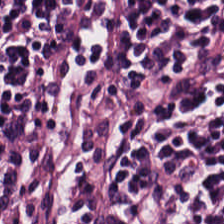Tissue class — lymphocyte aggregate.
